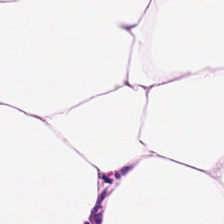Histology — adipose.
